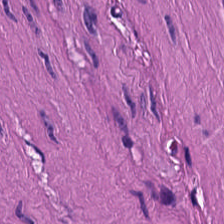0.5 µm/px · 224×224 px patch · H&E stain — Finding — smooth muscle.
